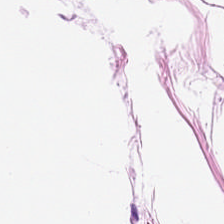Hematoxylin-and-eosin stained section; brightfield.
This patch shows fat tissue.
